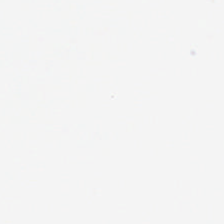Hematoxylin-and-eosin stained section. FFPE.
Q: What is shown here?
A: Empty background.
